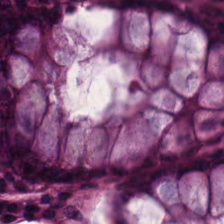Hematoxylin-and-eosin stained section. Tissue type — normal colonic mucosa.
